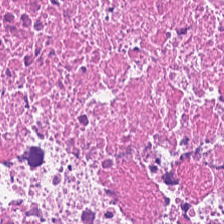Brightfield microscopy · H&E. Showing debris.
